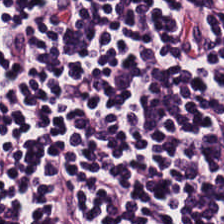The predominant tissue is lymphocytes.
